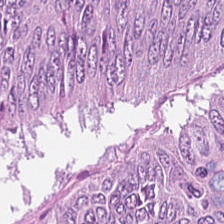Hematoxylin-and-eosin stained section.
Showing malignant epithelium.
